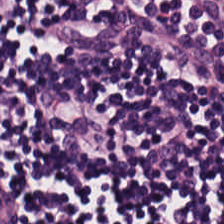Brightfield; formalin-fixed paraffin-embedded section; H&E stain — The tissue here is lymphocyte aggregate.
